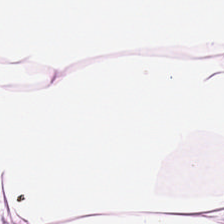Hematoxylin-and-eosin stained section. 0.5 µm/px.
The classification is adipose tissue.
